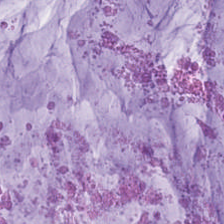FFPE. H&E-stained tissue section. WSI patch — Tissue type: mucus.
